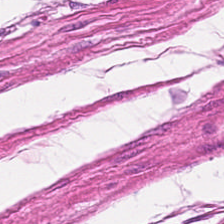Hematoxylin and eosin — The predominant tissue is muscularis.
